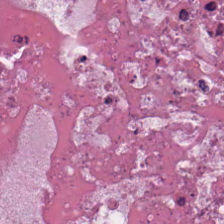H&E — necrotic debris.
